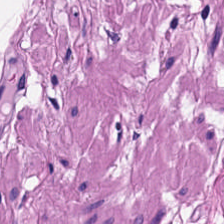H&E.
Predominantly smooth-muscle tissue.
